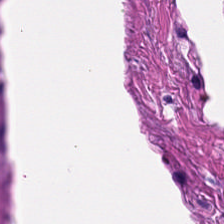Hematoxylin-and-eosin stained section.
This patch shows smooth-muscle tissue.
